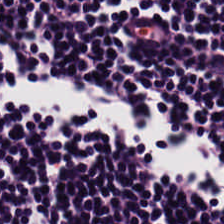H&E; 224×224 px patch; brightfield microscopy. Lymphoid infiltrate.
